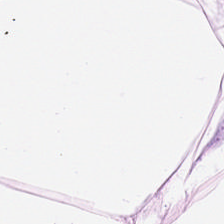Q: Identify the tissue.
A: It is adipose.
